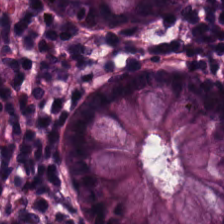Tissue type: normal colon mucosa.
